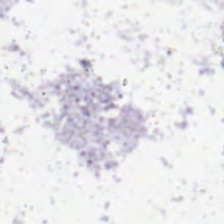Hematoxylin-and-eosin stained section — This patch shows no tissue.
